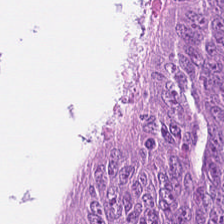H&E — Predominantly colorectal adenocarcinoma.
